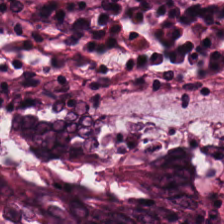H&E. Formalin-fixed paraffin-embedded section.
The predominant tissue is normal colon mucosa.
